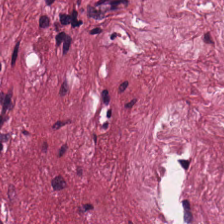224×224 px patch; hematoxylin-and-eosin stained section — This field is cancer-associated stroma.
